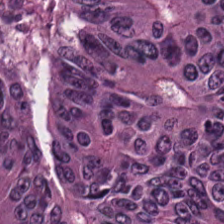Hematoxylin-and-eosin stained section.
Predominantly tumor epithelium.
